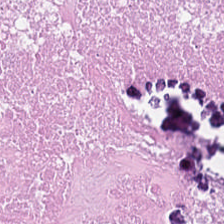Brightfield · hematoxylin-and-eosin stained section. The tissue class is necrotic debris.
